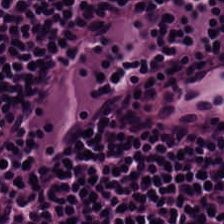{"tissue_type": "lymphocytes"}
